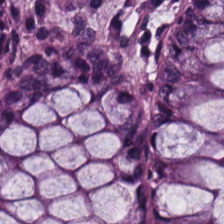224×224 pixel tile; 0.5 µm per pixel; H&E-stained tissue section. The tissue here is benign colonic mucosa.
